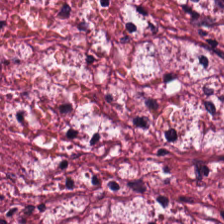Hematoxylin-and-eosin section: tumor-associated stroma.
